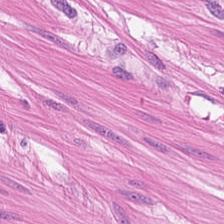H&E — {"tissue_type": "smooth-muscle tissue"}
